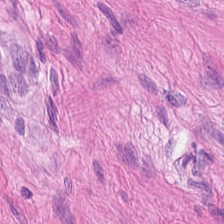Tissue = smooth-muscle tissue.
